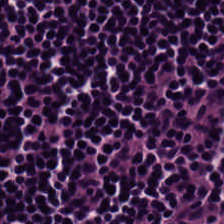Hematoxylin-and-eosin stained section — Tissue type = lymphocytes.
